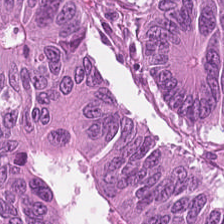H&E-stained tissue section · 0.5 microns per pixel. {"tissue_type": "adenocarcinoma"}
